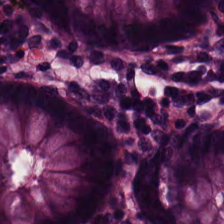H&E-stained tissue section — The tissue class is benign colonic mucosa.
